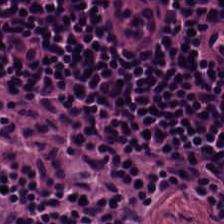Lymphocytes.
